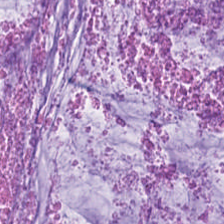H&E stain.
Classification = mucin.
